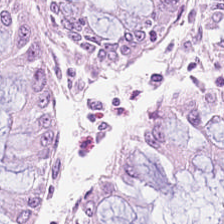Stain: H&E stain.
Acquisition: brightfield.
Tissue: normal colonic mucosa.
